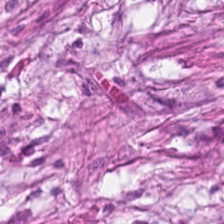Predominant tissue: cancer-associated stroma.
